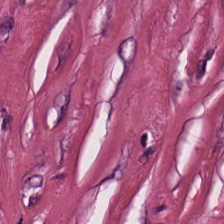H&E-stained section; the field shows desmoplastic stroma.
